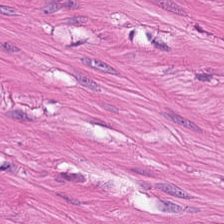Hematoxylin and eosin.
Q: What tissue type is shown here?
A: It is muscularis.
